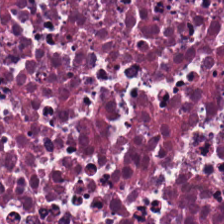H&E-stained section; the field shows debris.
